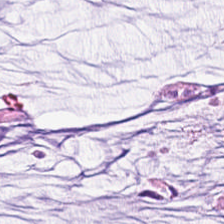H&E-stained tissue section — Tissue type: extracellular mucin.
